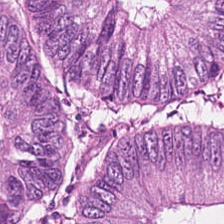FFPE tissue section; hematoxylin and eosin; whole-slide-image patch.
Tissue = colorectal adenocarcinoma epithelium.
